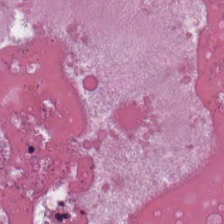Hematoxylin-and-eosin stained section — Predominantly debris.
